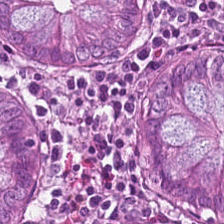Hematoxylin and eosin · brightfield microscopy. Tissue type: benign colonic mucosa.
